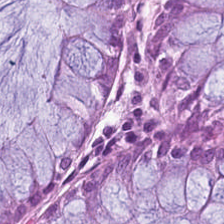H&E stain. Q: What type of tissue is this?
A: This is normal colonic mucosa.
